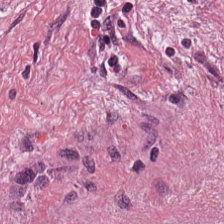Formalin-fixed paraffin-embedded section · H&E stain — Q: Classify this patch.
A: The field shows tumor-associated stroma.
